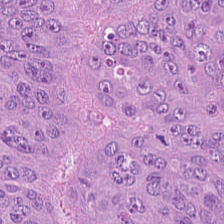FFPE. Whole-slide-image patch. H&E-stained tissue section — Classification — tumor epithelium.
